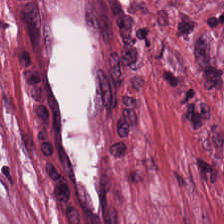Hematoxylin-and-eosin stained section · FFPE tissue section.
This patch shows tumor-associated stroma.
